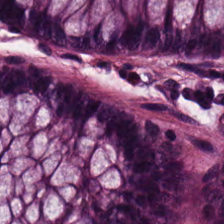Hematoxylin-and-eosin stained section · 224×224 px tile.
Classification = normal colonic mucosa.
